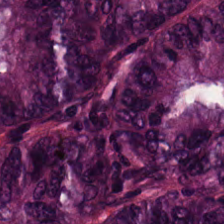H&E-stained tissue section. Finding — adenocarcinoma.
